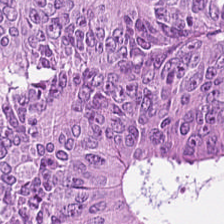H&E-stained tissue section. Tissue class: colorectal adenocarcinoma.
